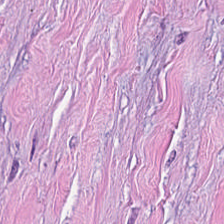FFPE; 224×224 pixel tile; H&E.
Tissue = tumor-associated stroma.
